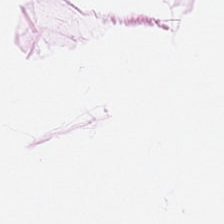FFPE; 224×224 px tile; hematoxylin-and-eosin stained section. This patch shows fat tissue.
